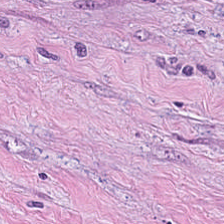Predominantly tumor stroma.
